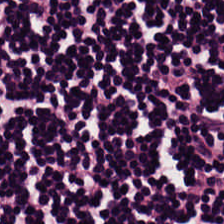Hematoxylin-and-eosin stained section.
The tissue here is lymphocytic infiltrate.
